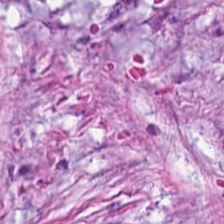0.5 µm per pixel. H&E — The tissue class is cancer-associated stroma.
